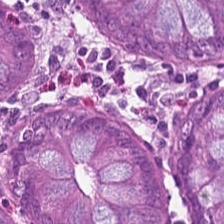Hematoxylin and eosin. Showing normal colonic mucosa.
